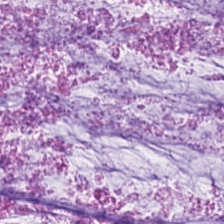0.5 microns per pixel; H&E-stained tissue section — Showing mucin.
